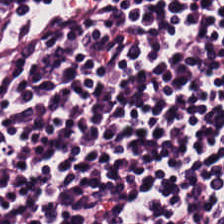Hematoxylin and eosin.
Lymphocyte aggregate.
